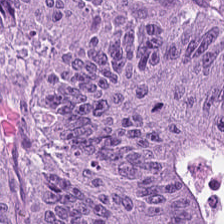FFPE tissue section. Hematoxylin and eosin.
This field is colorectal adenocarcinoma epithelium.
